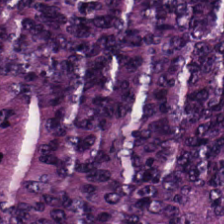Stain: H&E-stained tissue section.
Preparation: FFPE tissue section.
Classification: adenocarcinoma.
